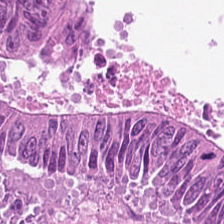Hematoxylin-and-eosin stained section. Tissue type — colorectal adenocarcinoma.
